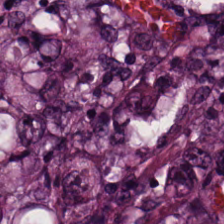H&E stain — Tissue — tumor epithelium.
